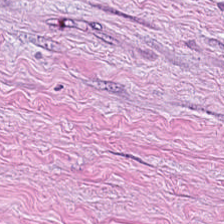H&E · 224×224 px tile. Finding → tumor stroma.
